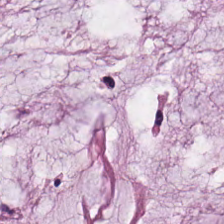This patch shows mucus.
